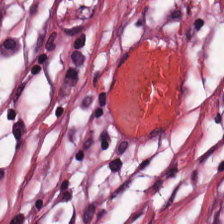Hematoxylin and eosin.
Predominantly cancer-associated stroma.
